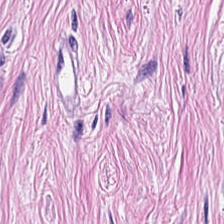H&E-stained tissue section.
Q: Identify the tissue.
A: The field shows tumor stroma.
